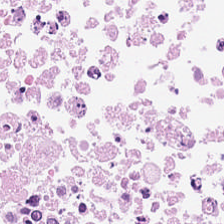20× equivalent magnification · formalin-fixed paraffin-embedded section · hematoxylin-and-eosin stained section.
Predominantly debris.
